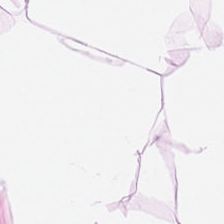Stain: hematoxylin-and-eosin stained section.
Acquisition: WSI patch.
Tissue type: adipose tissue.
